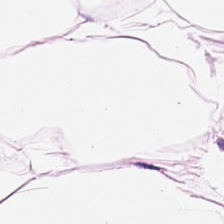H&E-stained section; the field shows adipose tissue.
